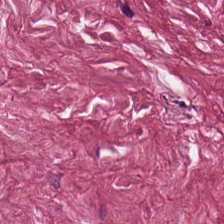Whole-slide-image patch; H&E — Predominant tissue = tumor-associated stroma.
